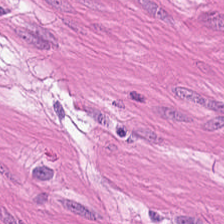H&E-stained tissue section — The predominant tissue is smooth muscle.
